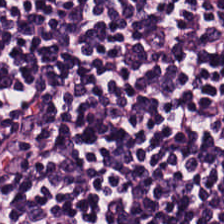H&E-stained tissue section. This field is lymphocytes.
